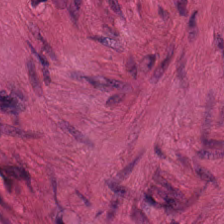Stain: hematoxylin and eosin.
Tissue type: muscularis.
